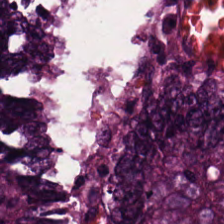224×224 pixel tile. Hematoxylin-and-eosin stained section — The tissue is colorectal adenocarcinoma epithelium.
